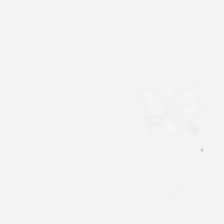224×224 pixel tile · H&E stain — No tissue present; background only.
